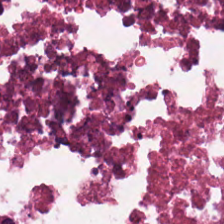H&E-stained tissue section — Predominantly debris.
